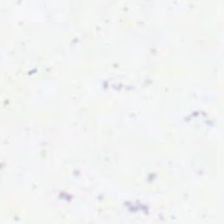Background — no tissue in this field.
